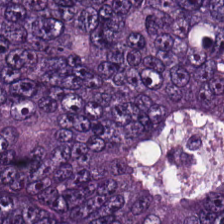H&E-stained tissue section. Tumor epithelium.
